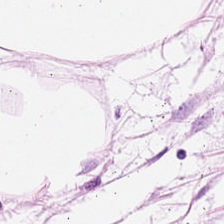H&E — adipose tissue.
